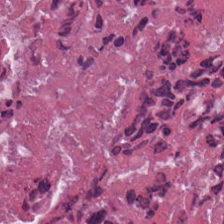Hematoxylin and eosin. Classification = debris.
